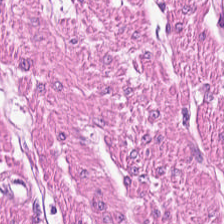Hematoxylin and eosin. Formalin-fixed paraffin-embedded section. 20× equivalent magnification. This field is smooth-muscle tissue.
